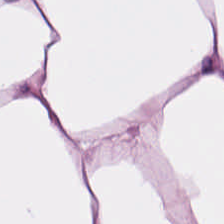Formalin-fixed paraffin-embedded section; H&E-stained tissue section; brightfield. Histology → adipocytes.
